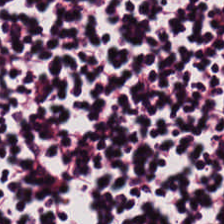Impression — lymphocytes.
